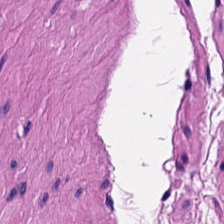The tissue is smooth-muscle tissue.
